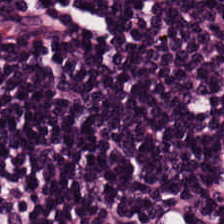Stain: H&E-stained tissue section.
Tile size: 224×224 px patch.
Acquisition: WSI patch.
Predominant tissue: lymphoid infiltrate.
